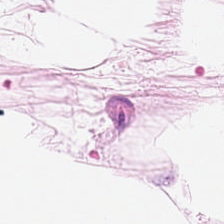H&E stain. FFPE.
Q: Classify this patch.
A: This is fat tissue.
